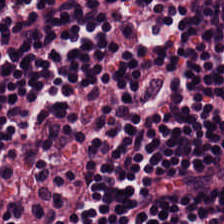Stain: hematoxylin and eosin.
Acquisition: brightfield microscopy.
Tissue: lymphoid infiltrate.
